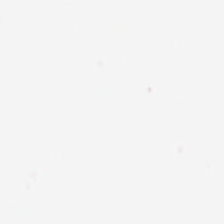224×224 px patch; H&E-stained tissue section; 0.5 microns per pixel — Impression → background.
